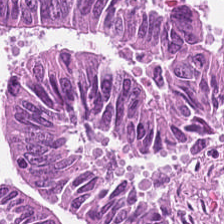H&E-stained tissue section — Tissue: colorectal adenocarcinoma.
